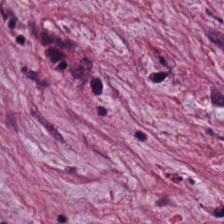FFPE; hematoxylin-and-eosin stained section; 224×224 px tile.
Q: What tissue type is shown here?
A: It is tumor stroma.
